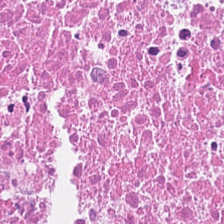Necrotic debris.
